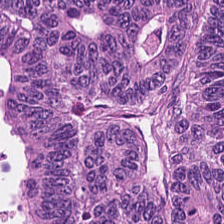Brightfield microscopy · hematoxylin and eosin. Predominant tissue — colorectal adenocarcinoma epithelium.
